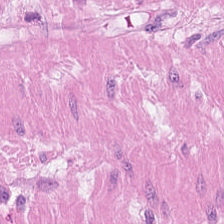Hematoxylin and eosin; 224×224 pixel tile. Tissue class: smooth muscle.
